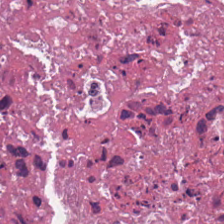H&E. 0.5 µm per pixel.
Q: What tissue is shown?
A: This is necrotic debris.
